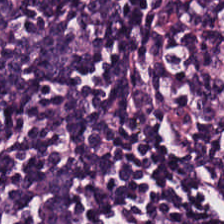Hematoxylin and eosin. The predominant tissue is lymphocytic infiltrate.
